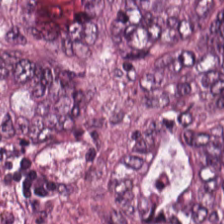224×224 px tile · FFPE · hematoxylin-and-eosin stained section.
Colorectal adenocarcinoma epithelium.
